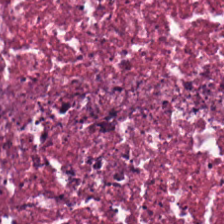H&E stain.
Q: What tissue is shown?
A: Necrotic debris.
